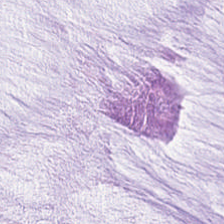H&E stain — {"tissue_type": "mucin"}
